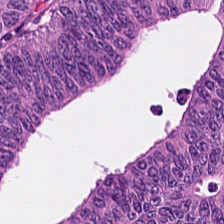Hematoxylin-and-eosin stained section. This patch shows colorectal adenocarcinoma.
